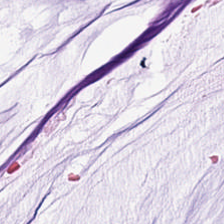H&E stain · 0.5 µm per pixel.
Q: Identify the tissue.
A: Mucus.
